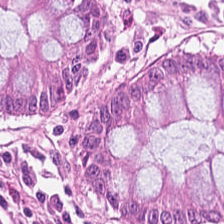H&E-stained tissue section · 20× equivalent magnification. {"tissue_type": "normal colonic mucosa"}
